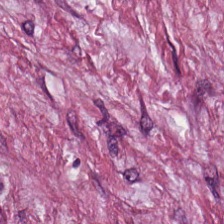H&E-stained section; the field shows desmoplastic stroma.
